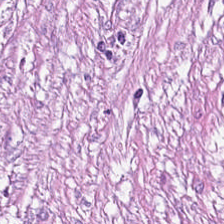Tissue type: cancer-associated stroma.
